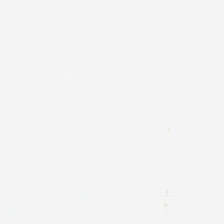Q: What is shown here?
A: No tissue.
